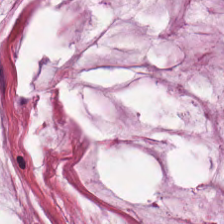Tissue = extracellular mucin.
